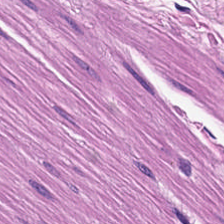Hematoxylin-and-eosin stained section.
The tissue is smooth muscle.
